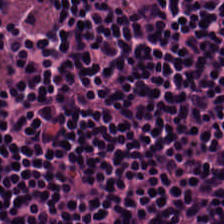H&E-stained tissue section — The tissue here is lymphoid infiltrate.
